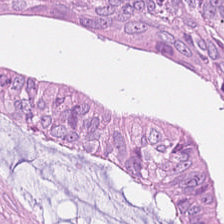Hematoxylin-and-eosin stained section.
Predominantly malignant epithelium.
